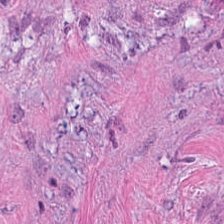Hematoxylin and eosin.
{"tissue_type": "desmoplastic stroma"}
